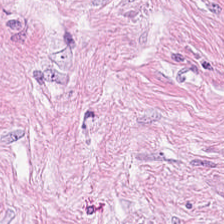H&E-stained tissue section. 0.5 µm/px. The tissue here is cancer-associated stroma.
